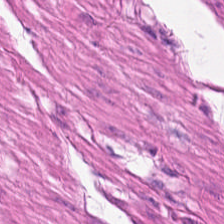H&E stain · FFPE tissue section. Q: What tissue type is shown here?
A: It is smooth-muscle tissue.
